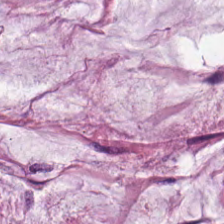The predominant tissue is extracellular mucin.
